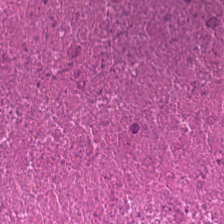0.5 µm/px. Whole-slide-image patch. Hematoxylin-and-eosin stained section. Showing debris.
